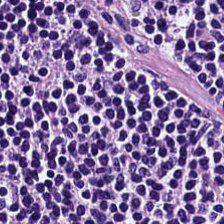Formalin-fixed paraffin-embedded section; H&E-stained tissue section.
Tissue — lymphocytes.
